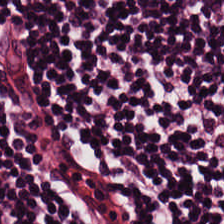Brightfield microscopy · 20× equivalent magnification · hematoxylin and eosin — Q: What is the predominant tissue type?
A: Lymphocyte aggregate.
